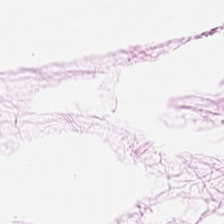H&E-stained tissue section. Q: What is shown here?
A: Adipose tissue.
